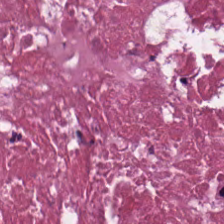Q: What is shown here?
A: This is cellular debris.
